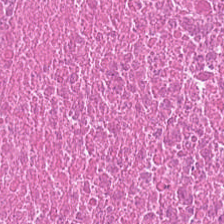Hematoxylin-and-eosin stained section — Showing debris.
